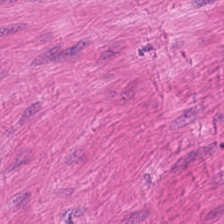Hematoxylin-and-eosin stained section — Histology → smooth muscle.
